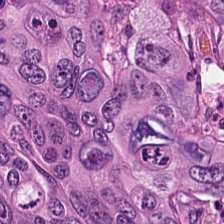H&E patch showing colorectal adenocarcinoma epithelium.
